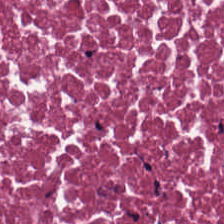224×224 px patch · H&E. {"tissue_type": "cellular debris"}
